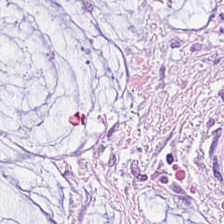Stain: H&E stain.
Tissue: mucin.
